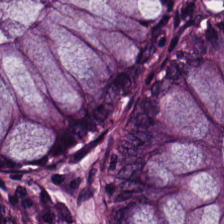0.5 µm per pixel · hematoxylin-and-eosin stained section — Finding → benign colonic mucosa.
